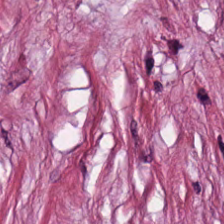Showing desmoplastic stroma.
